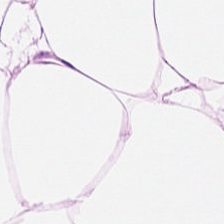Brightfield microscopy. H&E stain — This field is fat tissue.
